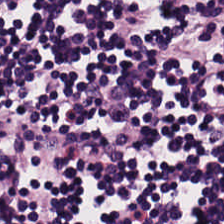H&E stain.
The tissue type is lymphoid infiltrate.
